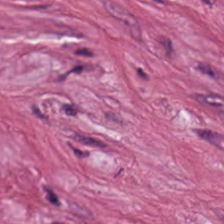{"tissue_type": "tumor stroma"}
